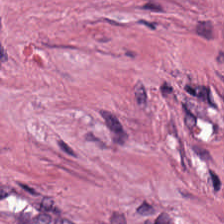Hematoxylin and eosin — Finding — cancer-associated stroma.
